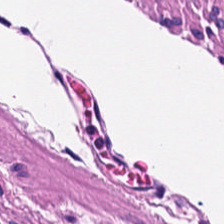Hematoxylin-and-eosin stained section · 20× equivalent magnification · FFPE.
Tissue class — smooth muscle.
